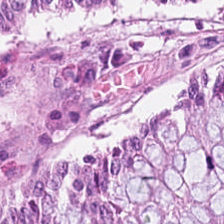Stain: hematoxylin and eosin.
Acquisition: brightfield microscopy.
Resolution: 0.5 microns per pixel.
Tissue class: normal colon mucosa.
